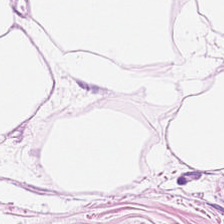Stain: H&E stain.
Classification: adipocytes.
